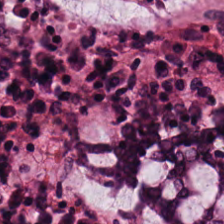The predominant tissue is benign colonic mucosa.
